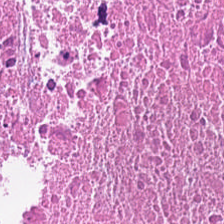Q: What is the predominant tissue type?
A: Necrotic debris.
